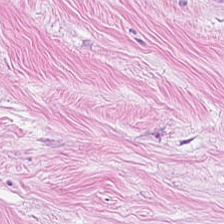H&E. WSI patch — Showing tumor stroma.
